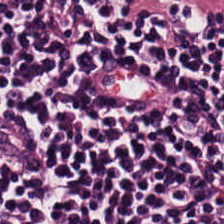0.5 µm/px · H&E stain.
Q: What type of tissue is this?
A: The field shows lymphocytes.
